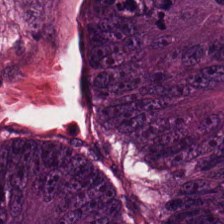This field is tumor epithelium.
